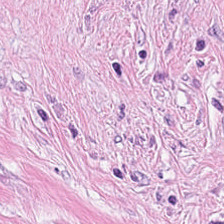224×224 pixel tile · hematoxylin-and-eosin stained section.
Finding → tumor stroma.
